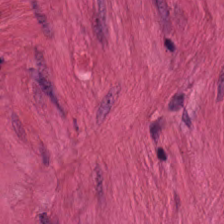Predominant tissue: smooth muscle.
